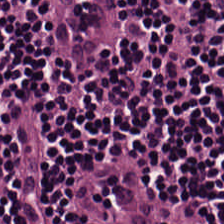Stain: hematoxylin-and-eosin stained section.
Tissue: lymphocytic infiltrate.
